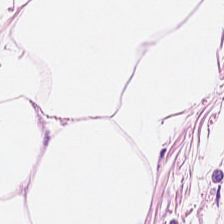Formalin-fixed paraffin-embedded section. H&E stain. Tissue type: fat tissue.
